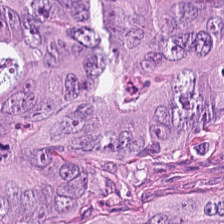H&E stain — Showing colorectal adenocarcinoma.
